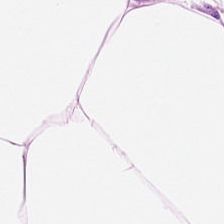Showing adipocytes.
